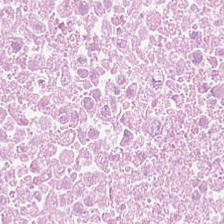0.5 µm/px; H&E stain.
The tissue here is cellular debris.
